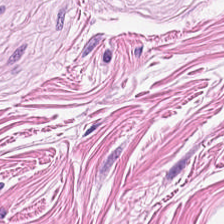H&E stain — Tissue type = smooth muscle.
